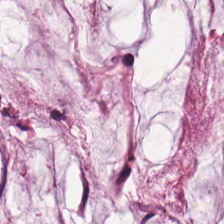224×224 px patch · H&E · whole-slide-image patch. This field is mucin.
